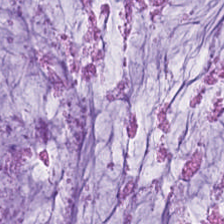Hematoxylin-and-eosin stained section; 224×224 pixel tile.
The tissue class is mucin.
